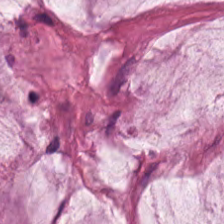Hematoxylin-and-eosin stained section; 0.5 µm/px; FFPE tissue section — Extracellular mucin.
